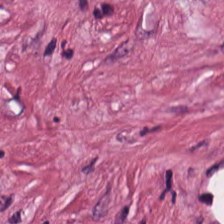Finding → desmoplastic stroma.
